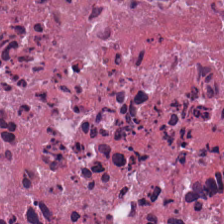Hematoxylin and eosin.
Tissue type = debris.
